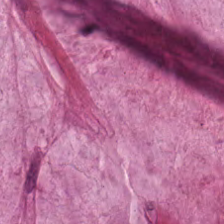Hematoxylin and eosin. 0.5 µm per pixel. Predominantly mucin.
